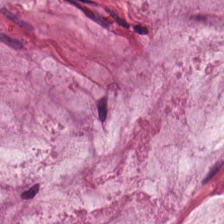H&E stain; brightfield. The predominant tissue is mucus.
